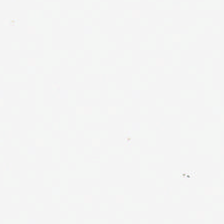Hematoxylin-and-eosin stained section — Field content — background (no tissue).
